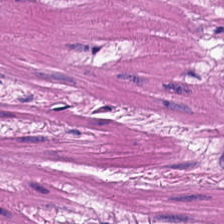This field is smooth muscle.
